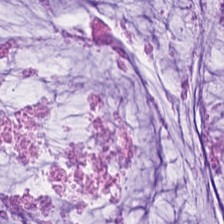Formalin-fixed paraffin-embedded section · H&E. Q: What does this patch show?
A: It is extracellular mucin.
